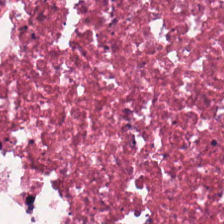Hematoxylin-and-eosin stained section. Brightfield microscopy. Classification — cellular debris.
